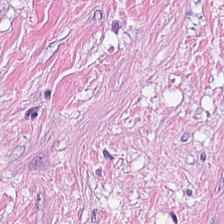Finding — desmoplastic stroma.
